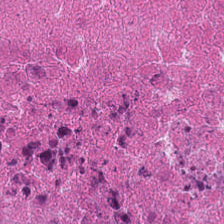Stain: H&E.
Predominant tissue: debris.
